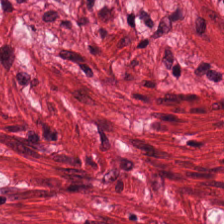Hematoxylin and eosin.
This field is smooth-muscle tissue.
